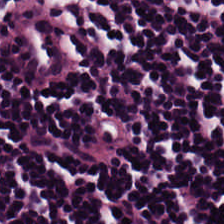224×224 px tile · hematoxylin-and-eosin stained section. The tissue here is lymphocytes.
